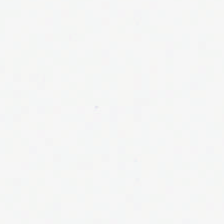Brightfield; hematoxylin-and-eosin stained section; 0.5 µm/px. This field is background (no tissue).
